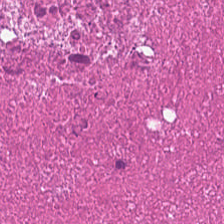Hematoxylin and eosin — Q: What does this patch show?
A: This is debris.
